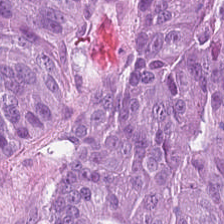H&E-stained tissue section.
Tissue type — colorectal adenocarcinoma epithelium.
